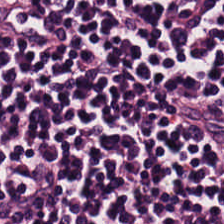Finding → lymphocytes.
